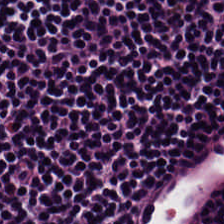Stain: H&E stain.
Resolution: 0.5 µm per pixel.
Tile size: 224×224 pixel tile.
Tissue: lymphoid infiltrate.
